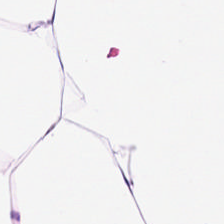H&E stain; FFPE.
Classification = fat tissue.
